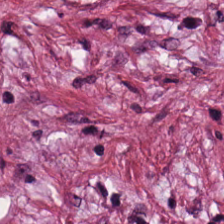Brightfield microscopy; H&E-stained tissue section; 0.5 µm per pixel.
Histology → tumor stroma.
